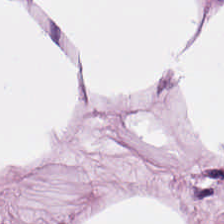224×224 px tile. Hematoxylin-and-eosin stained section — Tissue = adipose tissue.
